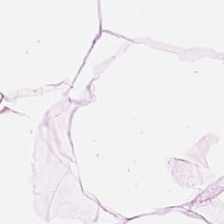H&E-stained tissue section — Finding — adipocytes.
